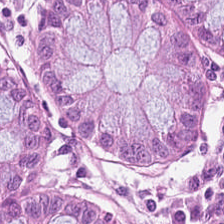H&E. Whole-slide-image patch. 0.5 µm/px. Finding — normal colon mucosa.
